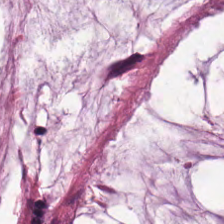H&E-stained section; the field shows mucus.
